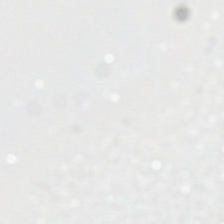Background — no tissue in this field.
